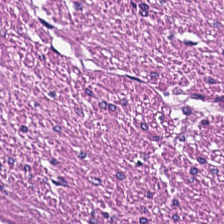0.5 µm/px. 224×224 pixel tile. H&E stain — The tissue class is smooth-muscle tissue.
